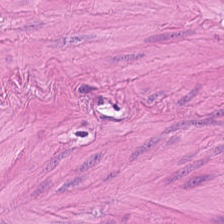H&E stain. 0.5 microns per pixel. Smooth muscle.
